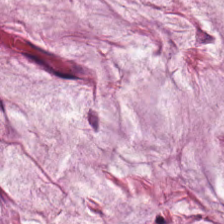0.5 µm/px; H&E-stained tissue section. Impression — mucus.
